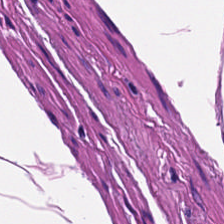H&E-stained section; the field shows smooth-muscle tissue.
